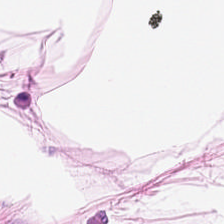FFPE; hematoxylin-and-eosin stained section — Classification — adipose.
